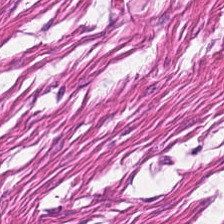Hematoxylin and eosin.
The tissue is muscularis.
